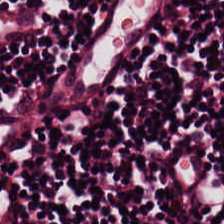Hematoxylin and eosin. The tissue here is lymphocytic infiltrate.
